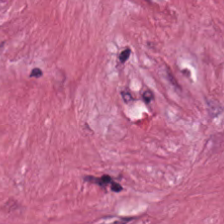H&E patch showing cancer-associated stroma.
